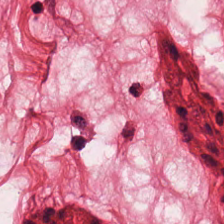Hematoxylin and eosin.
Tissue type — smooth muscle.
